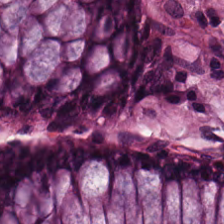Brightfield. Hematoxylin-and-eosin stained section. FFPE tissue section — Predominant tissue — normal colon mucosa.
